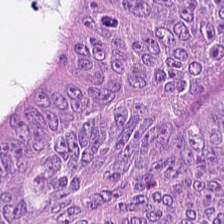H&E stain. Finding — adenocarcinoma.
